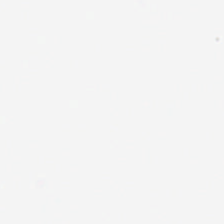Formalin-fixed paraffin-embedded section; H&E; 0.5 µm/px.
Empty field — background.
